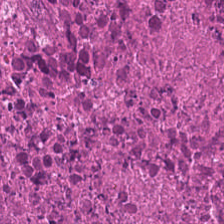Predominant tissue — necrotic debris.
